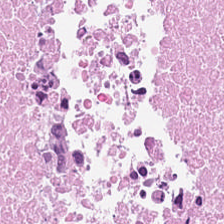H&E; formalin-fixed paraffin-embedded section. The tissue here is debris.
